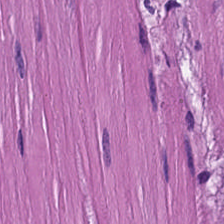Stain: H&E.
Classification: smooth-muscle tissue.
